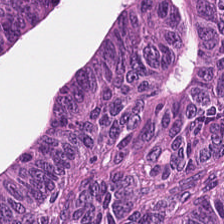Tissue — colorectal adenocarcinoma epithelium.
